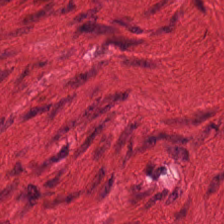Hematoxylin-and-eosin stained section. 224×224 px patch. 0.5 µm/px.
Tissue class — smooth-muscle tissue.
